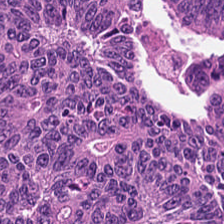Whole-slide-image patch. FFPE tissue section. H&E. Predominant tissue = adenocarcinoma.
